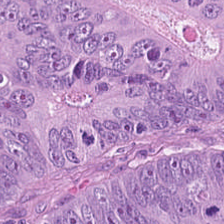Hematoxylin and eosin.
The tissue here is colorectal adenocarcinoma epithelium.
